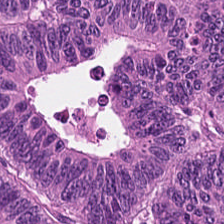Hematoxylin-and-eosin stained section; FFPE.
Q: Classify this patch.
A: The field shows tumor epithelium.
